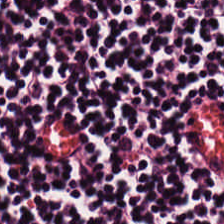0.5 µm per pixel. Hematoxylin-and-eosin stained section.
Q: What is shown here?
A: The field shows lymphocytic infiltrate.
